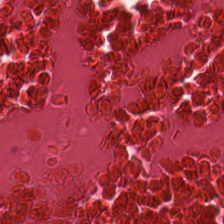H&E — Impression — debris.
